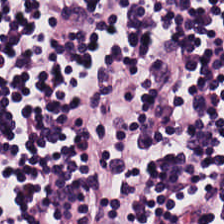H&E. Q: What does this patch show?
A: Lymphocyte aggregate.
